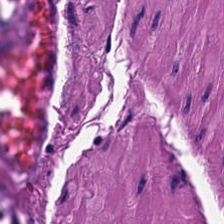H&E-stained tissue section — Finding → muscularis.
